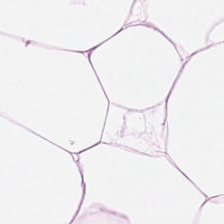Hematoxylin-and-eosin stained section. Tissue type = adipocytes.
